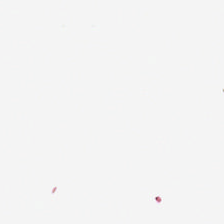Formalin-fixed paraffin-embedded section. Hematoxylin-and-eosin stained section — Q: What is shown here?
A: This is empty background.
